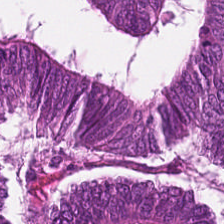Q: Identify the tissue.
A: Adenocarcinoma.
